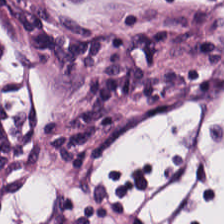H&E stain.
Q: What is the predominant tissue type?
A: Lymphoid infiltrate.
